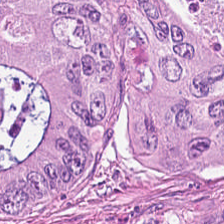H&E stain. {"tissue_type": "malignant epithelium"}
